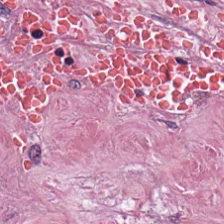Hematoxylin-and-eosin stained section. Tissue — desmoplastic stroma.
